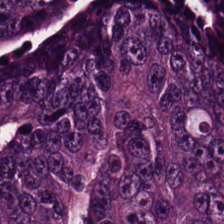H&E stain.
Finding — malignant epithelium.
